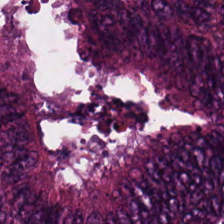H&E-stained tissue section. 224×224 px tile. Whole-slide-image patch — Q: What is shown here?
A: This is colorectal adenocarcinoma.
